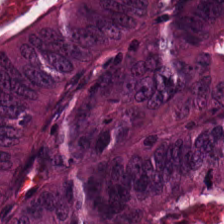Stain: hematoxylin-and-eosin stained section.
Tissue: malignant epithelium.
